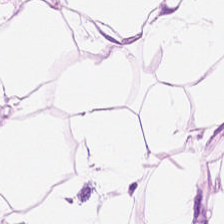Hematoxylin and eosin — Showing fat tissue.
